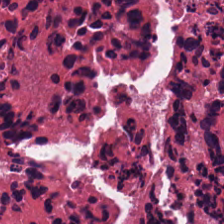H&E — {"tissue_type": "cellular debris"}
